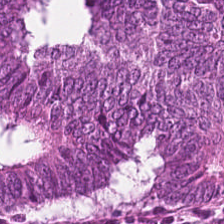Q: What does this patch show?
A: The field shows adenocarcinoma.
